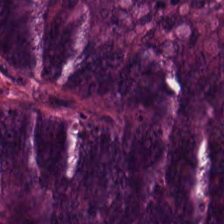Hematoxylin and eosin — Classification: adenocarcinoma.
